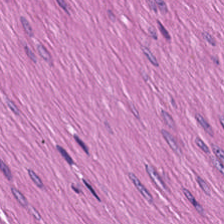H&E-stained tissue section. 224×224 pixel tile. FFPE — Classification: muscularis.
